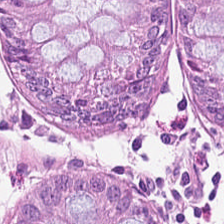H&E — This field is normal colonic mucosa.
